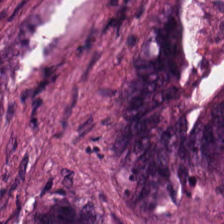H&E-stained tissue section.
Finding → adenocarcinoma.
